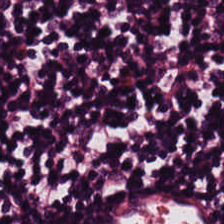H&E stain.
Lymphoid infiltrate.
